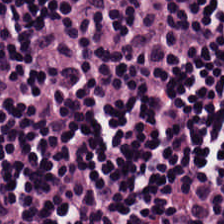Stain: H&E stain.
Classification: lymphocyte aggregate.
